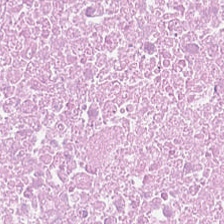Hematoxylin-and-eosin stained section; 224×224 px patch.
Impression → cellular debris.
